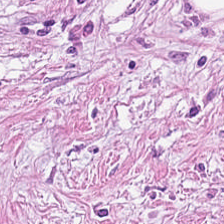H&E-stained tissue section · FFPE. {"tissue_type": "tumor stroma"}
